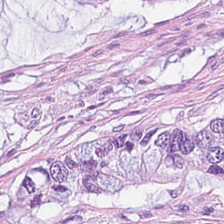Hematoxylin-and-eosin stained section. The tissue here is extracellular mucin.
